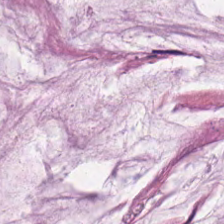Stain: H&E stain.
Tissue: extracellular mucin.
